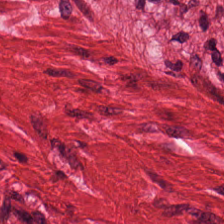H&E-stained tissue section. Predominantly muscularis.
